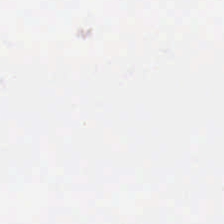Finding — no tissue.
